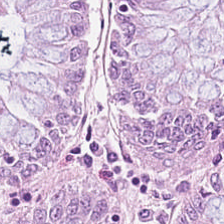Stain: hematoxylin-and-eosin stained section.
Tissue type: normal colon mucosa.
